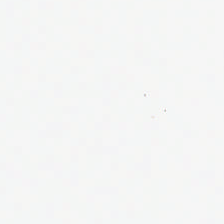The classification is background (no tissue).
